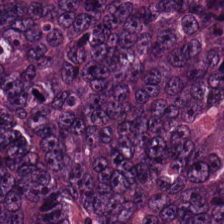0.5 microns per pixel; WSI patch; hematoxylin-and-eosin stained section — Q: Identify the tissue.
A: The field shows colorectal adenocarcinoma epithelium.
